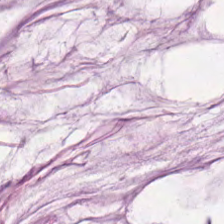Formalin-fixed paraffin-embedded section · hematoxylin-and-eosin stained section · 0.5 µm/px.
Tissue = mucus.
